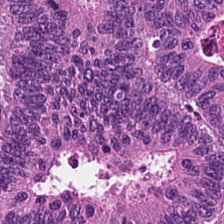Hematoxylin-and-eosin stained section.
Q: What type of tissue is this?
A: Colorectal adenocarcinoma epithelium.
